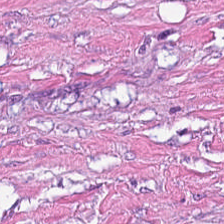H&E. 224×224 px tile.
This patch shows tumor-associated stroma.
